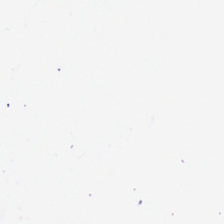H&E stain.
Q: Classify this patch.
A: No tissue.
